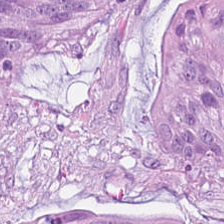Tissue = mucus.
